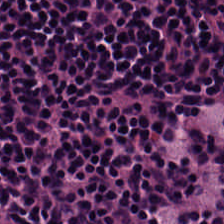Hematoxylin-and-eosin stained section. WSI patch.
This field is lymphocytic infiltrate.
